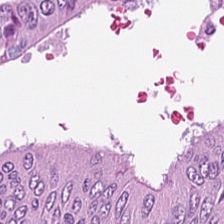H&E stain; 0.5 µm per pixel; WSI patch.
The tissue type is colorectal adenocarcinoma epithelium.
